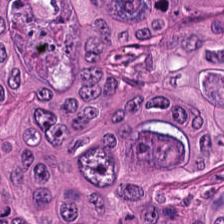Hematoxylin and eosin — Tissue class — adenocarcinoma.
